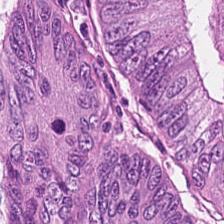{"tissue_type": "adenocarcinoma"}
